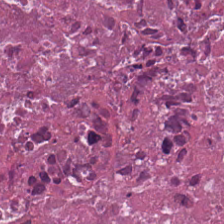Stain: hematoxylin and eosin.
Acquisition: brightfield.
Tile size: 224×224 px tile.
Tissue class: necrotic debris.
